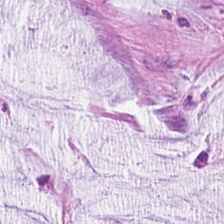H&E-stained tissue section. {"tissue_type": "extracellular mucin"}
